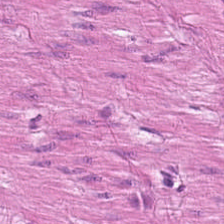H&E.
Histology — muscularis.
